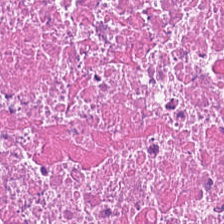Hematoxylin and eosin. The tissue here is cellular debris.
